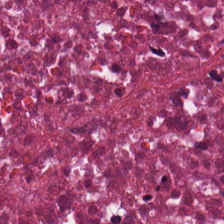H&E stain. Q: What is the predominant tissue type?
A: This is debris.
